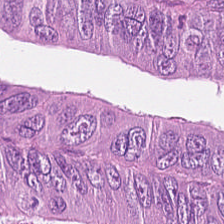0.5 µm/px. H&E.
Tissue class = tumor epithelium.
